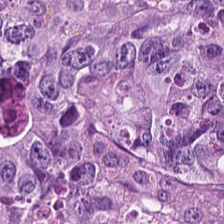Hematoxylin and eosin; 0.5 microns per pixel — This field is colorectal adenocarcinoma.
